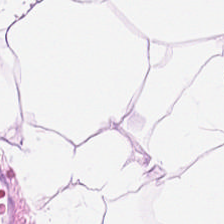Hematoxylin and eosin.
Predominant tissue — fat tissue.
